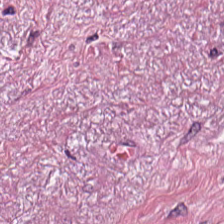Hematoxylin-and-eosin stained section. Predominant tissue — tumor-associated stroma.
